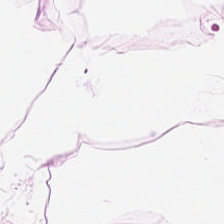Hematoxylin-and-eosin stained section · brightfield · FFPE tissue section — Tissue class — adipose tissue.
